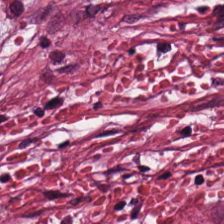Brightfield. Formalin-fixed paraffin-embedded section. Hematoxylin and eosin. Q: What is shown in this field?
A: The field shows tumor-associated stroma.
